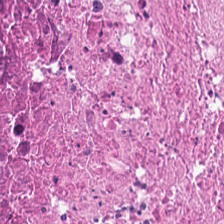Hematoxylin-and-eosin stained section. The tissue here is necrotic debris.
